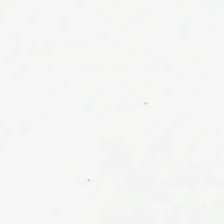This patch shows no tissue.
